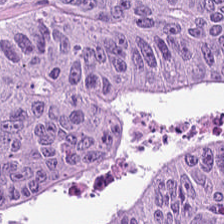224×224 px patch · hematoxylin-and-eosin stained section · 0.5 µm/px — Tissue = adenocarcinoma.
